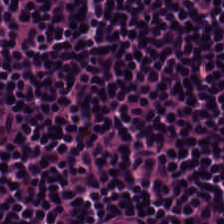H&E-stained tissue section — Predominant tissue = lymphocytes.
